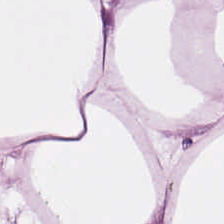H&E-stained tissue section.
Histology — adipose tissue.
